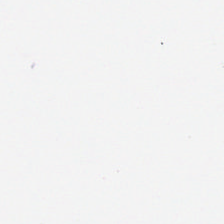0.5 microns per pixel · hematoxylin-and-eosin stained section.
This patch shows background.
